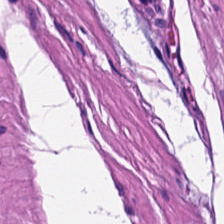Brightfield · FFPE tissue section · H&E-stained tissue section. The tissue here is smooth muscle.
